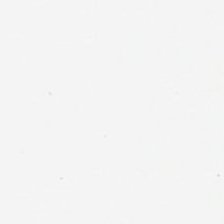H&E-stained tissue section — Q: What does this patch show?
A: The field shows background.
